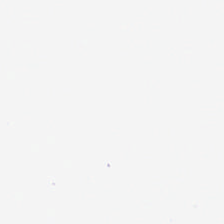Empty field — no tissue.
